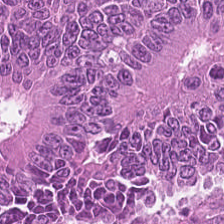H&E · 0.5 µm/px — The classification is malignant epithelium.
